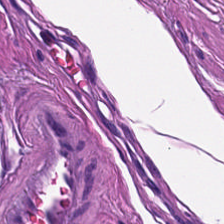Hematoxylin-and-eosin stained section; 0.5 µm per pixel. This field is smooth-muscle tissue.
